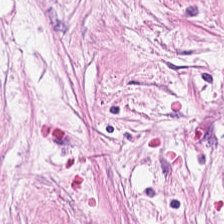Q: What tissue type is shown here?
A: This is tumor stroma.
